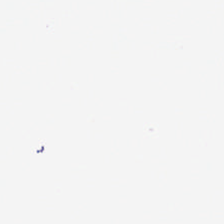Brightfield · formalin-fixed paraffin-embedded section · hematoxylin-and-eosin stained section — The field content is no tissue.
